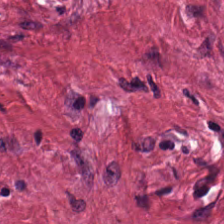Hematoxylin-and-eosin stained section.
Predominant tissue — cancer-associated stroma.
